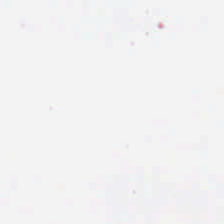Hematoxylin-and-eosin stained section. Empty background.
